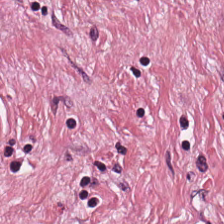H&E-stained tissue section — The classification is tumor-associated stroma.
